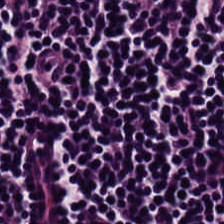Q: What tissue type is shown here?
A: It is lymphoid infiltrate.
